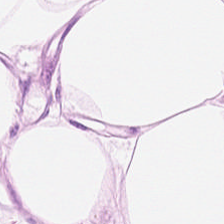Whole-slide-image patch. H&E-stained tissue section — Adipose tissue.
